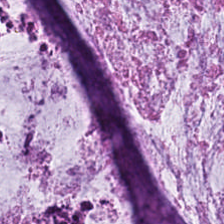Hematoxylin-and-eosin stained section — Q: Identify the tissue.
A: It is mucus.
